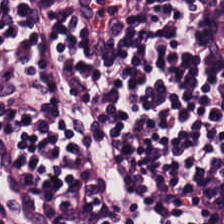{"tissue_type": "lymphoid infiltrate"}
